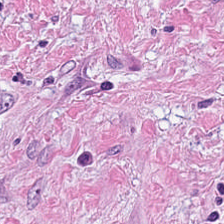Hematoxylin-and-eosin stained section — The tissue here is tumor stroma.
